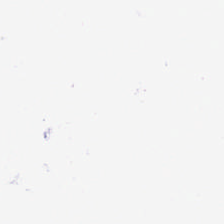Formalin-fixed paraffin-embedded section. H&E — Q: What is shown in this field?
A: This is no tissue.
